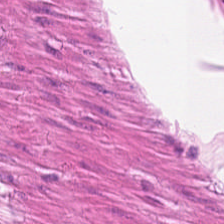H&E stain. 0.5 µm per pixel — {"tissue_type": "smooth muscle"}
